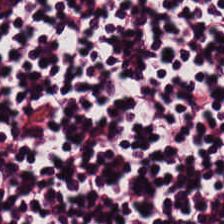Whole-slide-image patch · H&E.
Q: What does this patch show?
A: This is lymphocytes.
